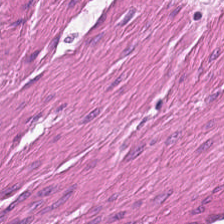H&E-stained tissue section — Muscularis.
